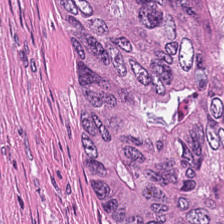Hematoxylin-and-eosin stained section; 224×224 pixel tile; formalin-fixed paraffin-embedded section — Q: What tissue is shown?
A: This is debris.
